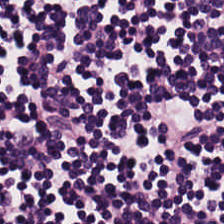{"tissue_type": "lymphoid infiltrate"}
